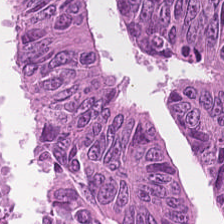H&E stain. Tissue type — adenocarcinoma.
